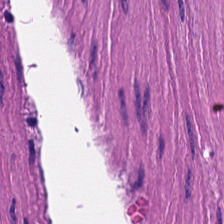Histology → smooth muscle.
